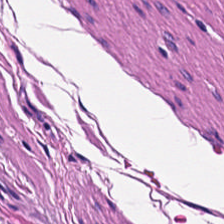Hematoxylin-and-eosin stained section.
Showing smooth-muscle tissue.
